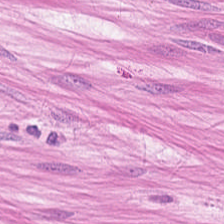Hematoxylin and eosin. {"tissue_type": "muscularis"}
